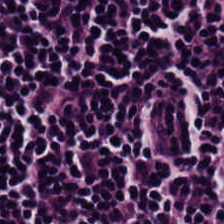H&E stain.
Lymphocytic infiltrate.
